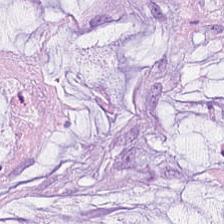Hematoxylin and eosin — The tissue is extracellular mucin.
